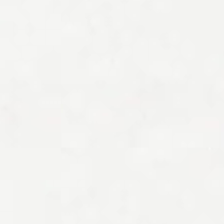Stain: hematoxylin and eosin.
Field content: no tissue.
